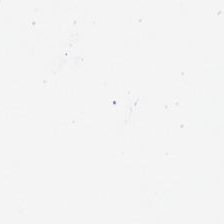Hematoxylin and eosin; 224×224 px tile — Q: What is shown in this field?
A: The field shows empty background.
